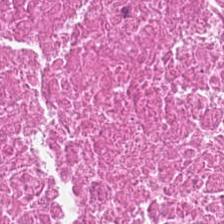Stain: H&E stain.
Predominant tissue: cellular debris.
